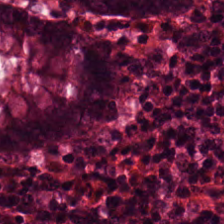Hematoxylin-and-eosin stained section. WSI patch.
Impression — normal colonic mucosa.
